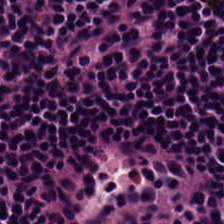224×224 px tile; brightfield microscopy; hematoxylin-and-eosin stained section. Q: What is shown in this field?
A: It is lymphocytes.
